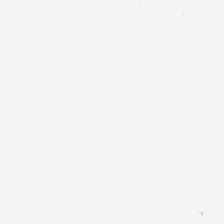Empty field — background (no tissue).
